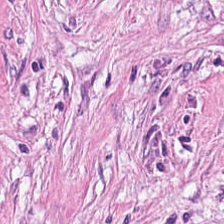H&E-stained tissue section showing tumor stroma.
